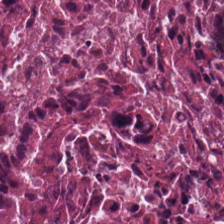Formalin-fixed paraffin-embedded section · hematoxylin-and-eosin stained section — The predominant tissue is debris.
